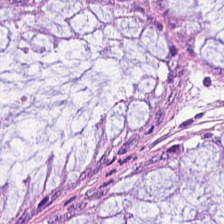H&E. {"tissue_type": "non-neoplastic colon mucosa"}
